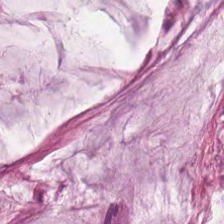H&E stain. 224×224 px patch. FFPE tissue section. Showing extracellular mucin.
